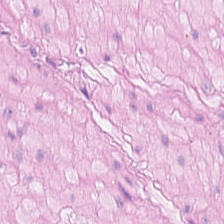Hematoxylin and eosin. Tissue class — smooth muscle.
